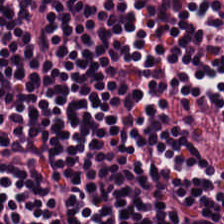Hematoxylin and eosin · 224×224 px patch · formalin-fixed paraffin-embedded section — Lymphocytic infiltrate.
